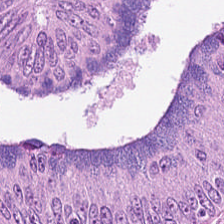H&E — Q: What is shown here?
A: The field shows colorectal adenocarcinoma epithelium.
